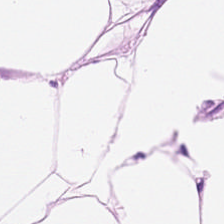H&E-stained tissue section; 0.5 µm per pixel — This patch shows fat tissue.
